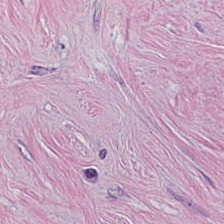Brightfield; FFPE tissue section; H&E. Tissue class: desmoplastic stroma.
